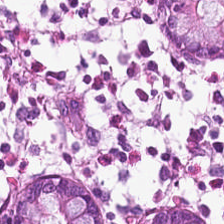224×224 pixel tile · brightfield · H&E-stained tissue section.
Q: What is shown here?
A: This is non-neoplastic colon mucosa.
